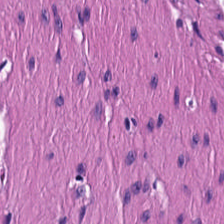H&E stain · 20× equivalent magnification — Q: What tissue type is shown here?
A: It is smooth muscle.
